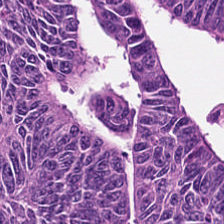H&E stain. Q: What tissue is shown?
A: It is adenocarcinoma.
